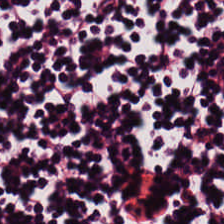H&E — The tissue is lymphocytes.
